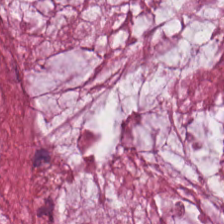Tissue type — extracellular mucin.
